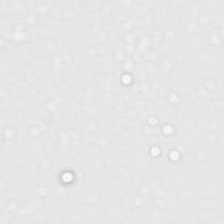Stain: H&E-stained tissue section.
Preparation: formalin-fixed paraffin-embedded section.
Field content: background.
